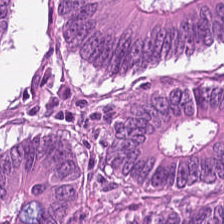Q: What tissue is shown?
A: The field shows colorectal adenocarcinoma.
